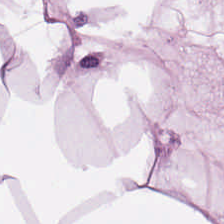Hematoxylin-and-eosin stained section; whole-slide-image patch. Impression → adipose tissue.
